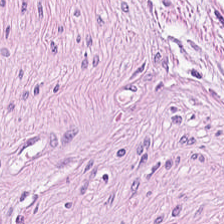Classification — tumor stroma.
